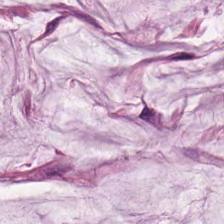H&E-stained section; the field shows mucus.
